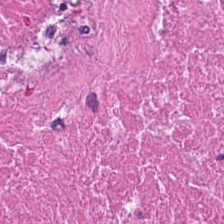H&E-stained tissue section. The tissue here is cellular debris.
